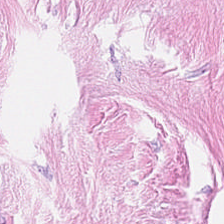H&E — tumor-associated stroma.
